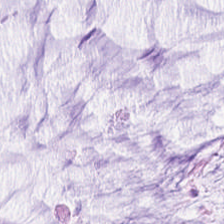H&E-stained section; the field shows mucus.
